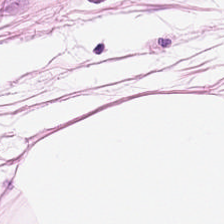Hematoxylin-and-eosin stained section. 224×224 px patch.
Impression — adipose.
